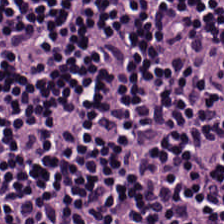Impression — lymphocyte aggregate.
